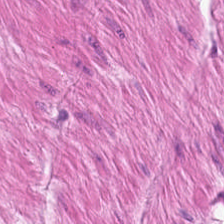20× equivalent magnification · hematoxylin and eosin.
Q: What does this patch show?
A: Muscularis.
